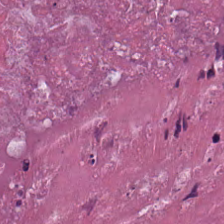The tissue here is necrotic debris.
